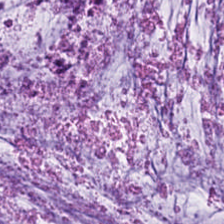Hematoxylin-and-eosin stained section · FFPE tissue section — Predominant tissue = mucin.
